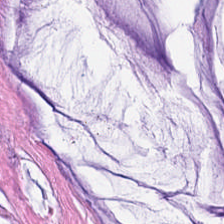H&E stain · FFPE tissue section · 224×224 px tile — Q: What does this patch show?
A: It is extracellular mucin.
